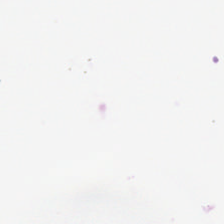FFPE; hematoxylin-and-eosin stained section — Empty background.
